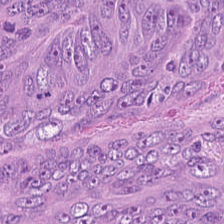H&E-stained tissue section · WSI patch. The tissue here is colorectal adenocarcinoma.
